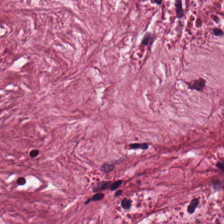Formalin-fixed paraffin-embedded section; hematoxylin and eosin. Tissue class — cancer-associated stroma.
